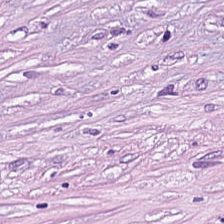Hematoxylin and eosin; FFPE tissue section — Predominant tissue: cancer-associated stroma.
